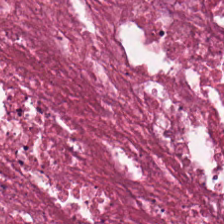Impression — debris.
